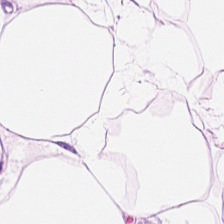H&E-stained tissue section.
Q: Identify the tissue.
A: This is adipocytes.
